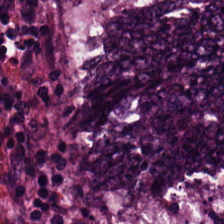Hematoxylin and eosin.
Q: What is shown in this field?
A: It is adenocarcinoma.
